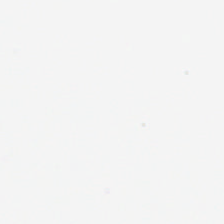{"content": "background"}
